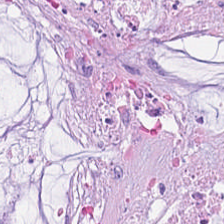Stain: H&E stain.
Tissue type: extracellular mucin.
